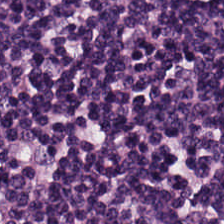H&E stain; 0.5 µm/px.
Impression — lymphocytes.
